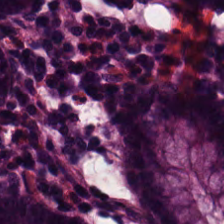Hematoxylin and eosin. Showing normal colonic mucosa.
